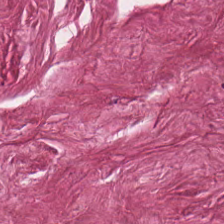Hematoxylin and eosin. 224×224 px tile.
The predominant tissue is tumor stroma.
